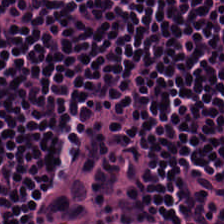{"tissue_type": "lymphocytic infiltrate"}
